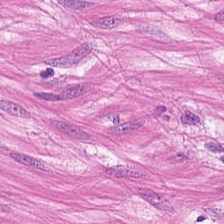H&E · FFPE.
Tissue class — smooth muscle.
